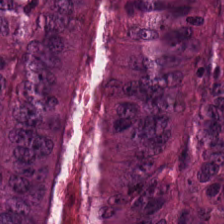H&E stain · brightfield microscopy — The tissue here is adenocarcinoma.
